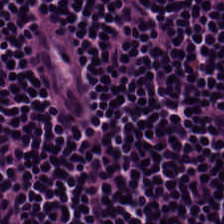Hematoxylin and eosin. 0.5 µm/px. {"tissue_type": "lymphocytes"}
